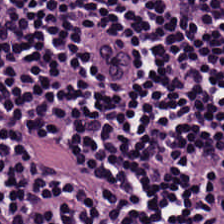Hematoxylin and eosin. FFPE — This patch shows lymphocyte aggregate.
